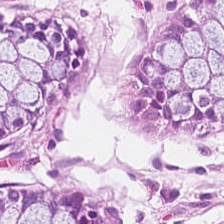Hematoxylin and eosin — Classification: benign colonic mucosa.
